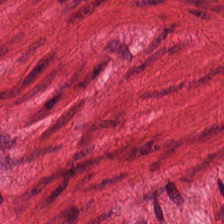0.5 µm per pixel. Brightfield microscopy. H&E.
The tissue is smooth-muscle tissue.
